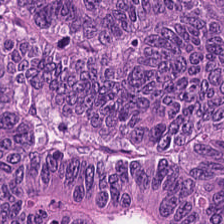The tissue is colorectal adenocarcinoma.
